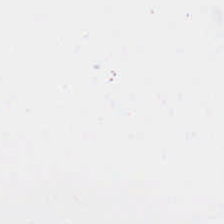Q: Classify this patch.
A: It is background.
